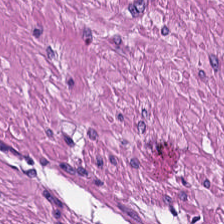H&E stain — Classification — smooth-muscle tissue.
